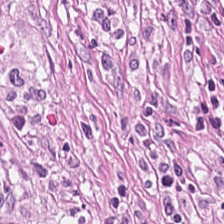Stain: hematoxylin-and-eosin stained section.
Resolution: 0.5 microns per pixel.
Preparation: FFPE tissue section.
Tissue class: tumor-associated stroma.
